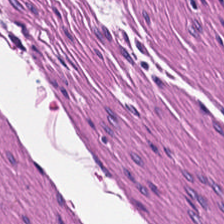H&E-stained tissue section. Q: Identify the tissue.
A: It is smooth muscle.
